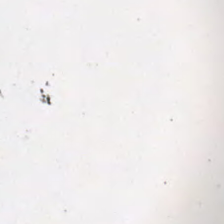{"content": "background (no tissue)"}
